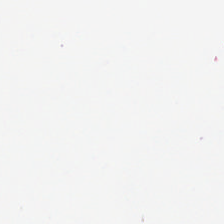WSI patch. 20× equivalent magnification. H&E stain — {"content": "background (no tissue)"}
